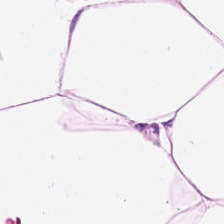Hematoxylin-and-eosin stained section — Adipose tissue.
